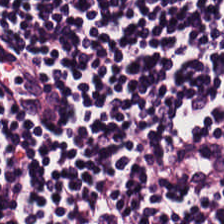H&E-stained tissue section. Tissue type — lymphocytic infiltrate.
